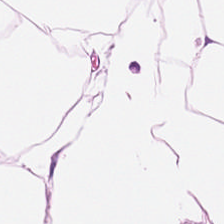FFPE; H&E — Tissue type: adipose tissue.
